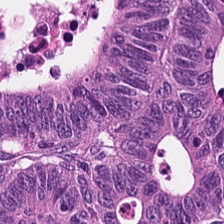Stain: H&E.
Classification: adenocarcinoma.
